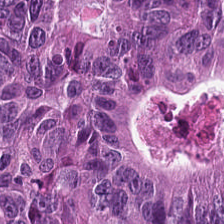Hematoxylin and eosin.
Showing tumor epithelium.
